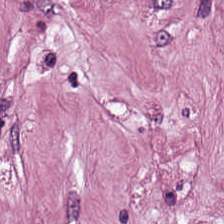Stain: H&E stain.
Tissue: tumor stroma.
